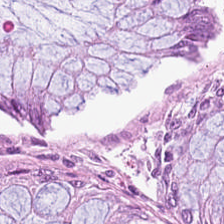Stain: H&E stain.
Predominant tissue: normal colon mucosa.
